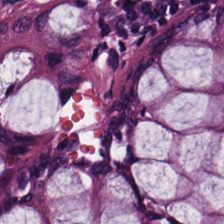Stain: hematoxylin-and-eosin stained section.
Resolution: 20× equivalent magnification.
Tissue type: normal colon mucosa.
